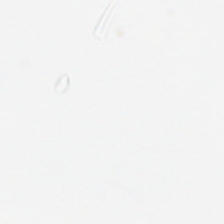Background.
